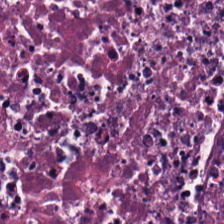H&E stain; brightfield — The tissue here is debris.
